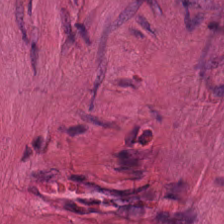Stain: H&E stain.
Tissue class: muscularis.
